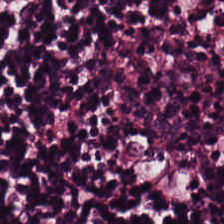Stain: H&E stain.
Tissue: lymphoid infiltrate.
